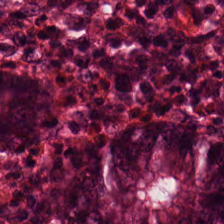Q: What tissue is shown?
A: This is benign colonic mucosa.
